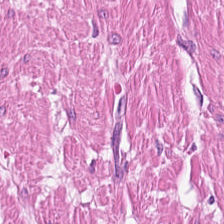The predominant tissue is smooth-muscle tissue.
